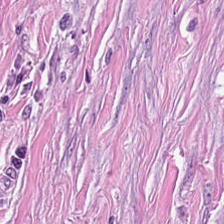H&E stain. FFPE tissue section.
Tumor-associated stroma.
